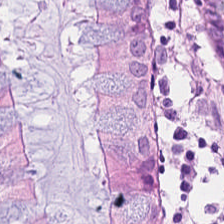Benign colonic mucosa.
